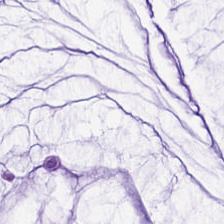Stain: hematoxylin-and-eosin stained section.
Predominant tissue: mucin.
